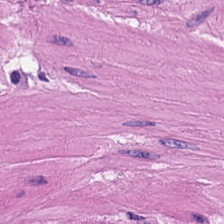Whole-slide-image patch. Hematoxylin-and-eosin stained section — Tissue: smooth-muscle tissue.
